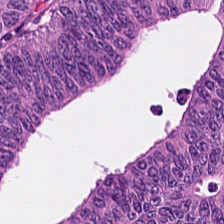H&E stain; 224×224 px tile; FFPE — Showing tumor epithelium.
